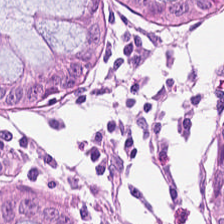H&E.
Q: What tissue is shown?
A: The field shows benign colonic mucosa.
